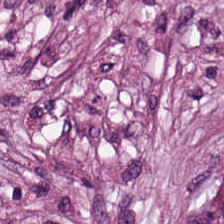Hematoxylin-and-eosin stained section; 224×224 pixel tile. The tissue here is cancer-associated stroma.
